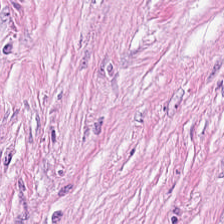Hematoxylin and eosin. This field is tumor-associated stroma.
